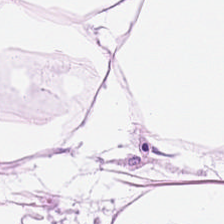H&E stain.
Tissue type — adipose tissue.
